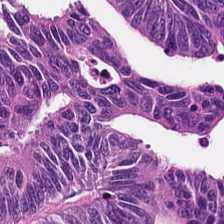Hematoxylin and eosin. Tissue class — colorectal adenocarcinoma epithelium.
